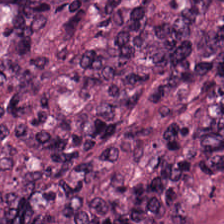Tissue — adenocarcinoma.
